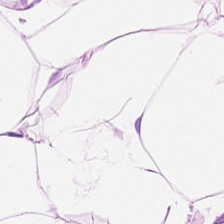H&E stain.
This patch shows adipocytes.
